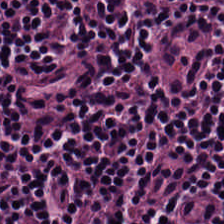Hematoxylin and eosin.
The predominant tissue is lymphocytes.
